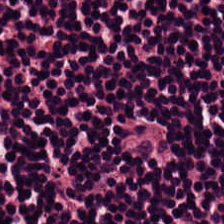H&E-stained tissue section. This field is lymphocytic infiltrate.
